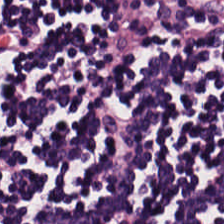Showing lymphocytes.
